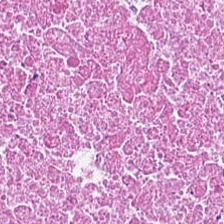This patch shows cellular debris.
